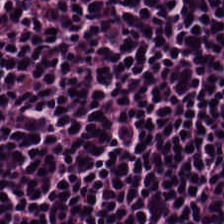Hematoxylin-and-eosin stained section.
Predominantly lymphocyte aggregate.
